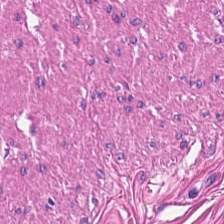H&E stain. Predominant tissue: muscularis.
